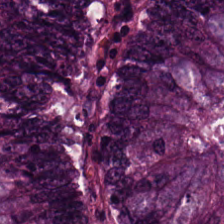The tissue type is colorectal adenocarcinoma.
